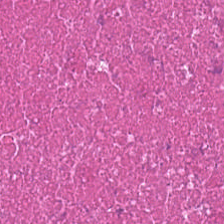Hematoxylin-and-eosin stained section — Tissue type = necrotic debris.
